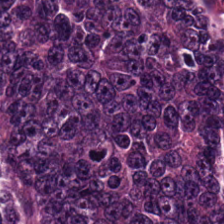Hematoxylin and eosin.
This field is adenocarcinoma.
